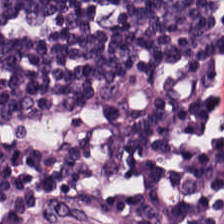{"tissue_type": "lymphocyte aggregate"}
